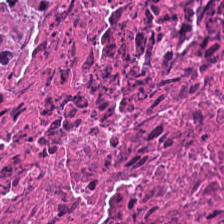This field is debris.
